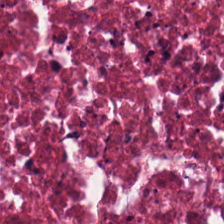Impression → necrotic debris.
